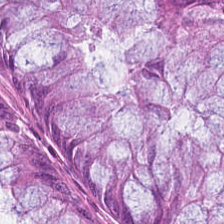Formalin-fixed paraffin-embedded section. Hematoxylin-and-eosin stained section — {"tissue_type": "normal colonic mucosa"}
